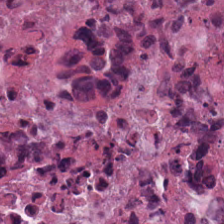{"tissue_type": "cellular debris"}
